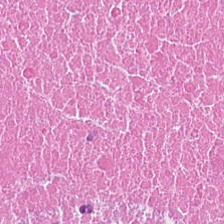H&E stain. 0.5 µm per pixel — Classification = debris.
